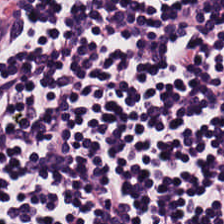H&E stain. {"tissue_type": "lymphocyte aggregate"}
